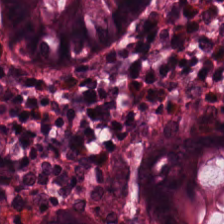FFPE. Hematoxylin-and-eosin stained section. {"tissue_type": "normal colon mucosa"}
